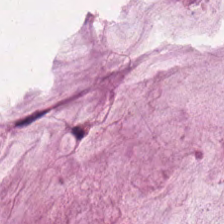Hematoxylin-and-eosin stained section.
Predominantly mucin.
